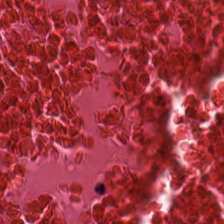224×224 px tile. 0.5 µm per pixel. H&E. This patch shows cellular debris.
